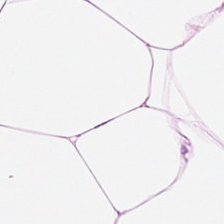224×224 pixel tile · H&E-stained tissue section · 0.5 µm per pixel.
{"tissue_type": "adipocytes"}
